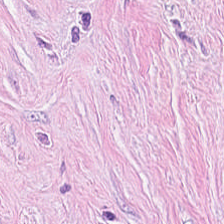Hematoxylin and eosin. 20× equivalent magnification. 224×224 pixel tile — Finding → desmoplastic stroma.
